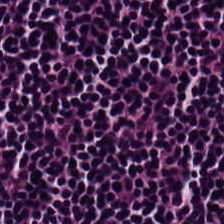Hematoxylin and eosin.
Histology → lymphocyte aggregate.
